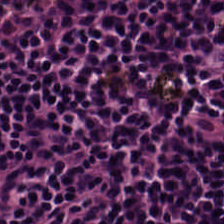Hematoxylin and eosin; WSI patch — Q: What does this patch show?
A: Lymphoid infiltrate.
